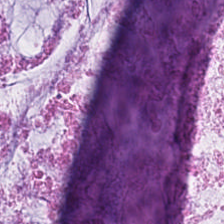The predominant tissue is mucus.
